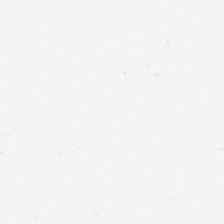Hematoxylin and eosin. Empty field — empty background.
